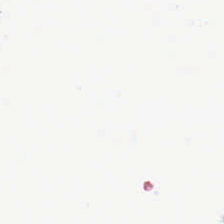H&E-stained tissue section.
The field content is no tissue.
